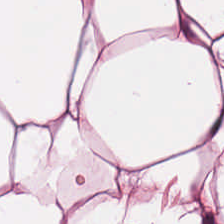H&E-stained tissue section. 0.5 microns per pixel. Showing adipose.
